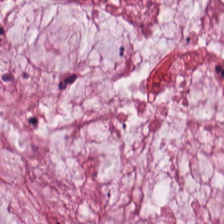H&E-stained tissue section.
The predominant tissue is extracellular mucin.
